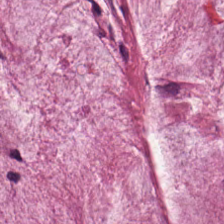H&E patch showing mucus.
